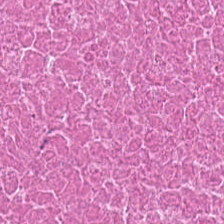H&E-stained tissue section · 20× equivalent magnification. Tissue class = cellular debris.
